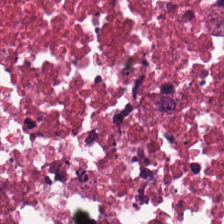Brightfield. FFPE tissue section. H&E stain.
Q: What tissue is shown?
A: Debris.
